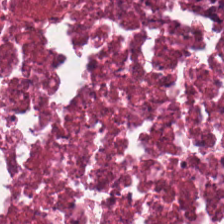The tissue type is cellular debris.
